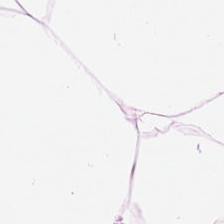Finding → adipose.
